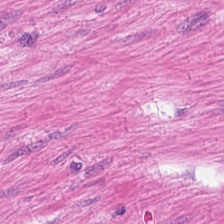Hematoxylin-and-eosin stained section — {"tissue_type": "smooth-muscle tissue"}
